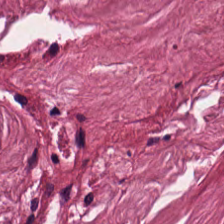H&E stain. The predominant tissue is tumor-associated stroma.
